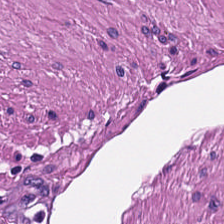WSI patch · H&E · 0.5 microns per pixel. This field is smooth-muscle tissue.
